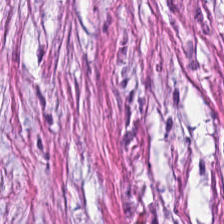H&E stain · FFPE — This patch shows desmoplastic stroma.
